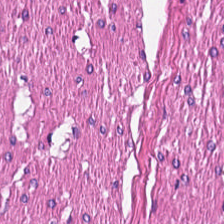H&E-stained tissue section.
Tissue type: smooth-muscle tissue.
